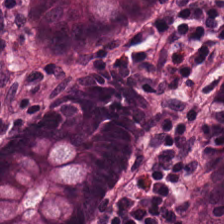H&E-stained tissue section.
Tissue type: benign colonic mucosa.
